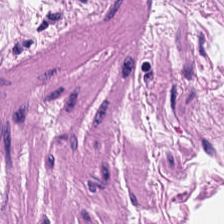H&E-stained tissue section. The tissue here is muscularis.
